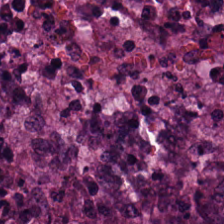0.5 µm per pixel · H&E stain.
Histology → colorectal adenocarcinoma.
